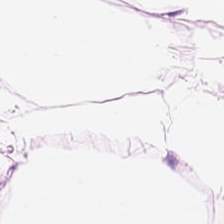The tissue here is adipose.
